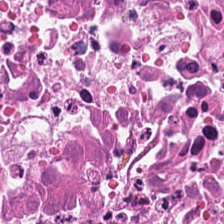0.5 microns per pixel. FFPE tissue section. H&E.
Q: What tissue is shown?
A: This is necrotic debris.
